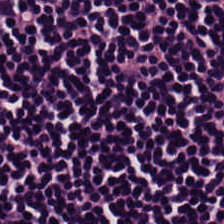0.5 µm per pixel. Hematoxylin-and-eosin stained section.
The predominant tissue is lymphocytic infiltrate.
